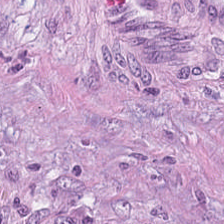H&E-stained tissue section. Classification: tumor stroma.
